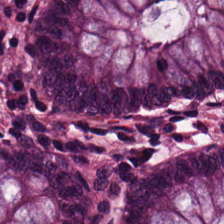{"tissue_type": "benign colonic mucosa"}
